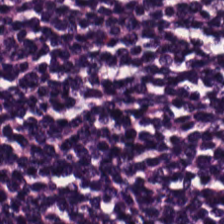Lymphocytic infiltrate.
